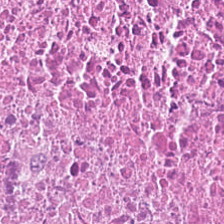Hematoxylin and eosin. The predominant tissue is debris.
